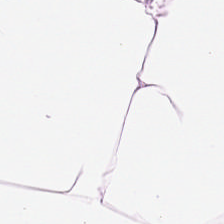Hematoxylin and eosin.
Finding → adipocytes.
